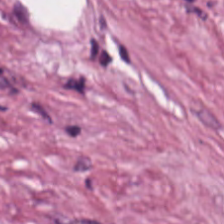Stain: H&E-stained tissue section.
Resolution: 0.5 µm per pixel.
Tissue class: tumor-associated stroma.
